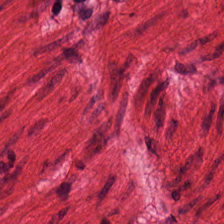{"tissue_type": "smooth-muscle tissue"}
